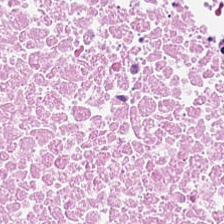H&E-stained tissue section — Showing cellular debris.
